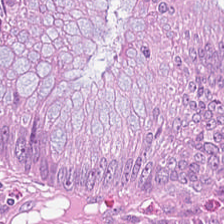H&E.
Tissue: colorectal adenocarcinoma.
